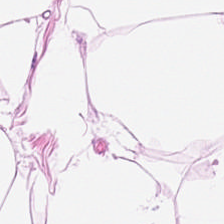Hematoxylin-and-eosin stained section; brightfield microscopy; FFPE tissue section — Q: Identify the tissue.
A: The field shows adipocytes.
